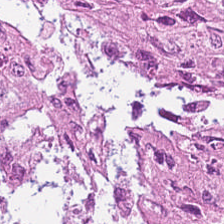Q: What is shown in this field?
A: The field shows tumor epithelium.
